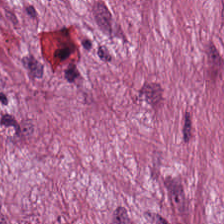H&E-stained tissue section — {"tissue_type": "cancer-associated stroma"}
